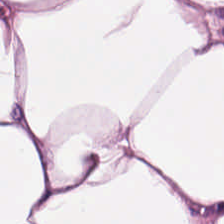H&E-stained tissue section — The predominant tissue is adipose.
